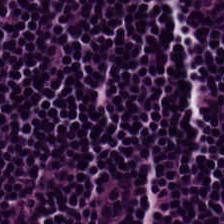H&E. Tissue — lymphoid infiltrate.
